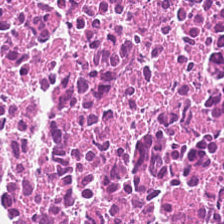FFPE tissue section · WSI patch · hematoxylin and eosin. Predominantly debris.
